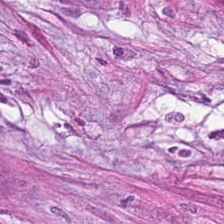H&E-stained tissue section.
{"tissue_type": "cancer-associated stroma"}
